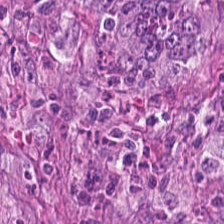H&E; 224×224 px patch.
Tissue class = adenocarcinoma.
